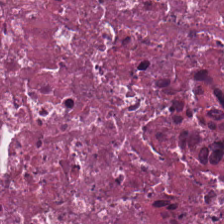H&E · FFPE.
This field is debris.
